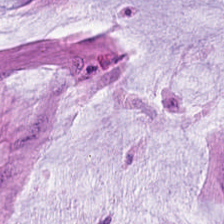The predominant tissue is mucus.
